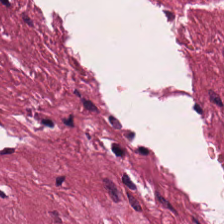Hematoxylin-and-eosin stained section — Tissue type — desmoplastic stroma.
